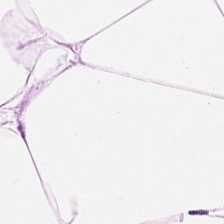The predominant tissue is adipose.
